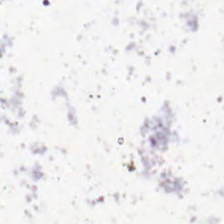H&E — Content — empty background.
